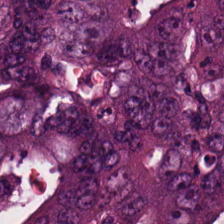Whole-slide-image patch. H&E-stained tissue section. 0.5 µm/px.
Q: Identify the tissue.
A: Colorectal adenocarcinoma epithelium.
